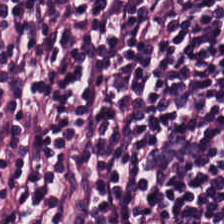H&E stain — Q: What is shown here?
A: Lymphoid infiltrate.
